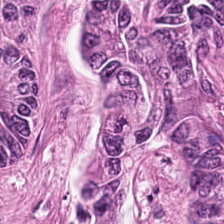20× equivalent magnification. Hematoxylin and eosin. 224×224 px patch — Showing malignant epithelium.
